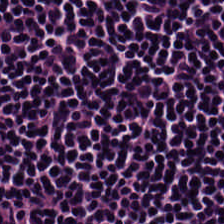224×224 px tile. 0.5 microns per pixel. Hematoxylin and eosin. The tissue class is lymphocytic infiltrate.
